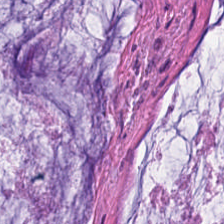Hematoxylin-and-eosin stained section. 0.5 microns per pixel. 224×224 px patch — Tissue — mucus.
